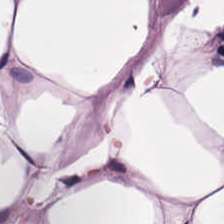Hematoxylin-and-eosin stained section · 224×224 pixel tile · whole-slide-image patch.
This field is adipocytes.
